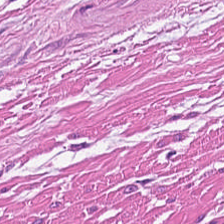Tissue type = muscularis.
